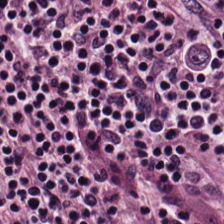224×224 px patch · H&E stain · 0.5 microns per pixel. This field is lymphoid infiltrate.
